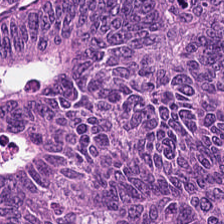The tissue type is malignant epithelium.
